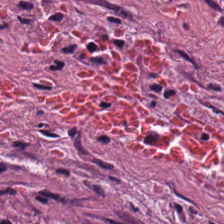FFPE; hematoxylin-and-eosin stained section.
Cancer-associated stroma.
